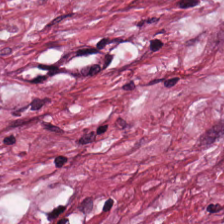Finding → desmoplastic stroma.
